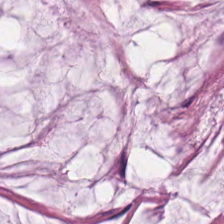H&E-stained tissue section; 20× equivalent magnification; brightfield microscopy. Finding — mucin.
